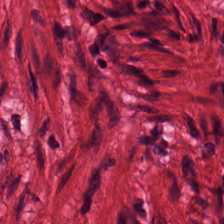H&E stain. FFPE tissue section. The predominant tissue is smooth muscle.
